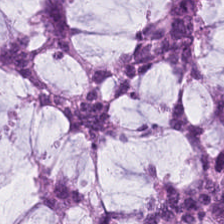Finding → mucus.
